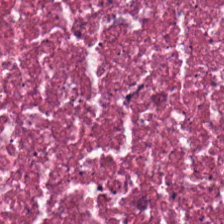Impression — necrotic debris.
